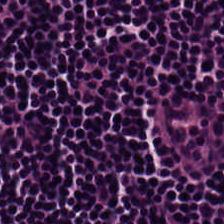{"tissue_type": "lymphoid infiltrate"}
